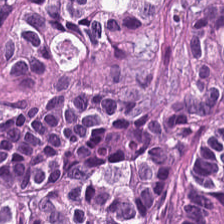Tissue type: colorectal adenocarcinoma.
